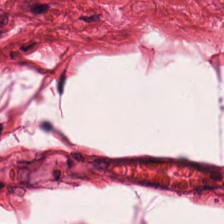Tissue — smooth muscle.
